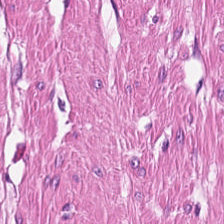224×224 pixel tile; H&E stain. Histology → smooth-muscle tissue.
